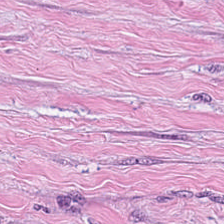FFPE tissue section. Brightfield. Hematoxylin-and-eosin stained section.
The tissue here is desmoplastic stroma.
